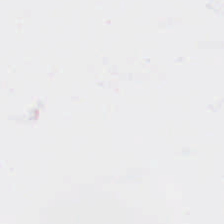H&E. 224×224 px tile — Background — no tissue in this field.
